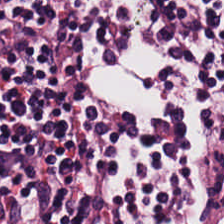H&E-stained tissue section; 0.5 µm per pixel; FFPE tissue section.
Lymphoid infiltrate.
